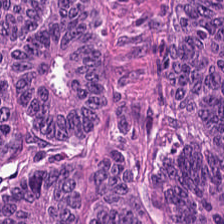Stain: H&E stain.
Tissue type: tumor epithelium.
